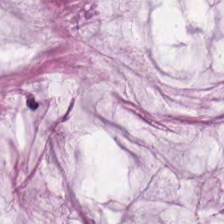Hematoxylin and eosin · 0.5 µm per pixel — The classification is mucin.
